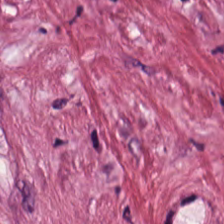0.5 µm per pixel; hematoxylin-and-eosin stained section. Q: What type of tissue is this?
A: Tumor stroma.
